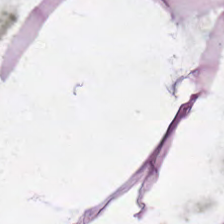{"tissue_type": "adipose"}
